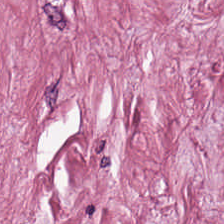Stain: hematoxylin and eosin.
Tile size: 224×224 px tile.
Classification: desmoplastic stroma.
